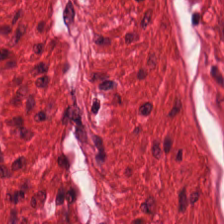H&E-stained tissue section.
Impression → smooth-muscle tissue.
